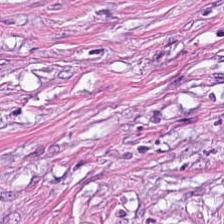The classification is tumor stroma.
